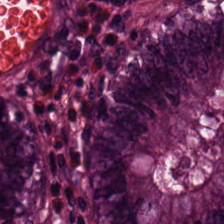The tissue here is normal colonic mucosa.
